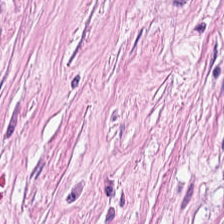Tissue type = tumor-associated stroma.
